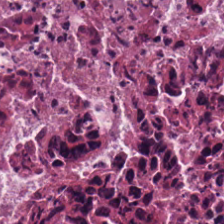0.5 µm per pixel · hematoxylin and eosin. Tissue type — cellular debris.
